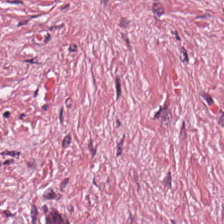224×224 pixel tile · H&E · brightfield microscopy — Tissue class: tumor-associated stroma.
